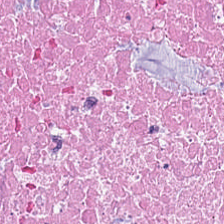Hematoxylin and eosin · 0.5 µm per pixel.
Impression — debris.
